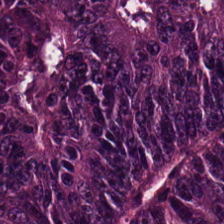Hematoxylin and eosin — Impression → colorectal adenocarcinoma epithelium.
